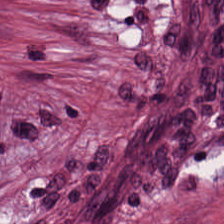H&E — Q: What type of tissue is this?
A: The field shows cancer-associated stroma.
